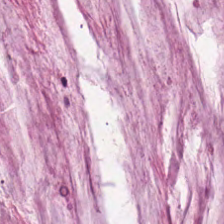Hematoxylin and eosin.
Q: What is shown here?
A: It is extracellular mucin.
